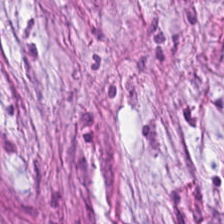0.5 microns per pixel; H&E-stained tissue section; FFPE tissue section — Histology → tumor-associated stroma.
